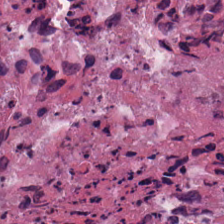Stain: H&E stain.
Tissue: necrotic debris.
